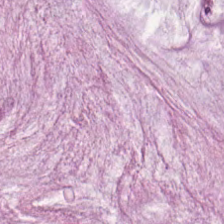Hematoxylin and eosin. Q: What is shown here?
A: It is extracellular mucin.
